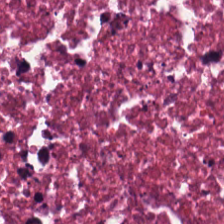H&E stain · 224×224 pixel tile · whole-slide-image patch. Debris.
